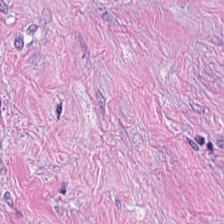Formalin-fixed paraffin-embedded section; H&E-stained tissue section — Q: What is the predominant tissue type?
A: Cancer-associated stroma.
